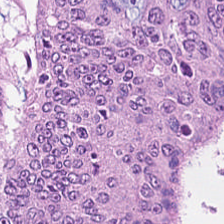H&E stain.
Tissue type: adenocarcinoma.
